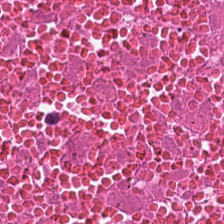Q: What is shown here?
A: It is cellular debris.
